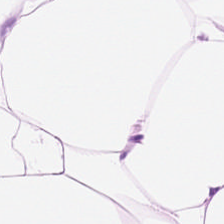Stain: hematoxylin-and-eosin stained section.
Tile size: 224×224 px tile.
Acquisition: WSI patch.
Tissue type: adipose tissue.
